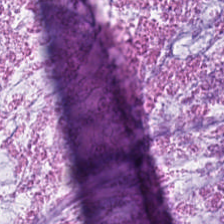Hematoxylin and eosin — {"tissue_type": "mucus"}
